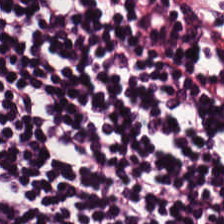H&E-stained tissue section.
Histology → lymphocyte aggregate.
